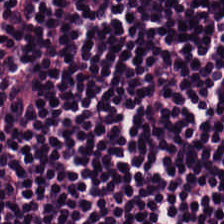Hematoxylin-and-eosin stained section; 0.5 microns per pixel. Tissue type = lymphocytes.
